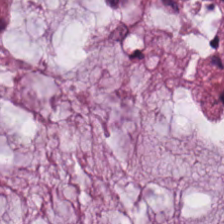H&E. WSI patch. 20× equivalent magnification — Predominant tissue: mucin.
